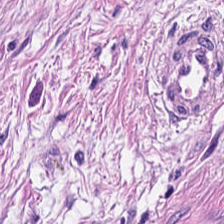Q: What is the predominant tissue type?
A: This is smooth muscle.
